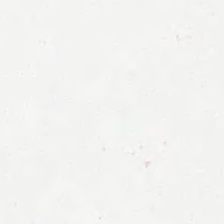H&E stain · 20× equivalent magnification — Q: What is shown here?
A: This is empty background.
